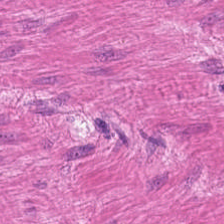H&E-stained tissue section. Q: What tissue type is shown here?
A: Smooth muscle.
